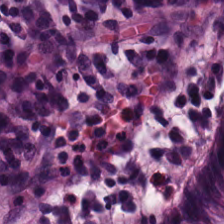224×224 px patch; FFPE; H&E-stained tissue section. This field is non-neoplastic colon mucosa.
